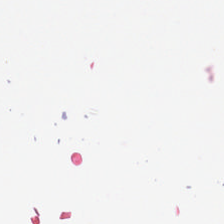H&E stain; FFPE tissue section; brightfield microscopy.
Background.
